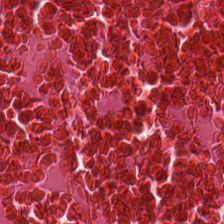224×224 px patch; H&E. This field is cellular debris.
